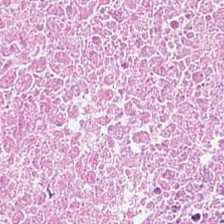224×224 px tile · H&E stain. Tissue class = cellular debris.
